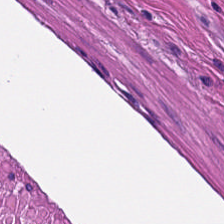Hematoxylin and eosin — This patch shows smooth muscle.
